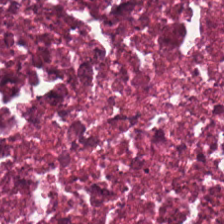Stain: hematoxylin and eosin.
Tissue type: debris.
